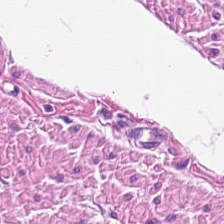H&E; 0.5 µm per pixel.
This patch shows smooth muscle.
